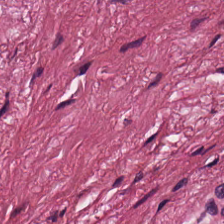224×224 px patch · FFPE · H&E. Q: Identify the tissue.
A: This is tumor stroma.
